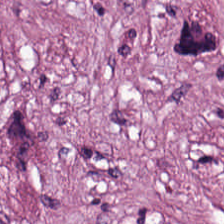The predominant tissue is tumor stroma.
